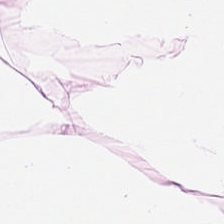H&E. Adipocytes.
